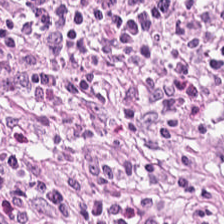Hematoxylin-and-eosin stained section.
The tissue here is tumor stroma.
